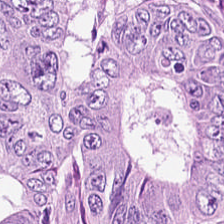H&E. Adenocarcinoma.
